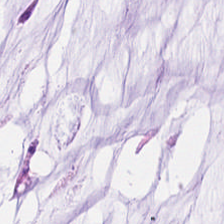Stain: H&E stain.
Tissue: mucin.
